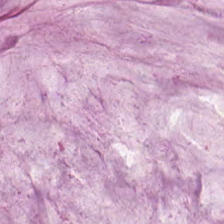Classification = mucin.
